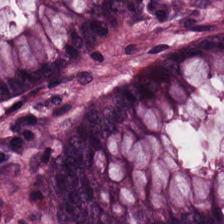H&E-stained tissue section — The tissue class is normal colon mucosa.
